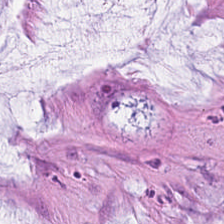{"tissue_type": "extracellular mucin"}
